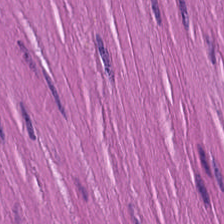Hematoxylin and eosin. The predominant tissue is muscularis.
